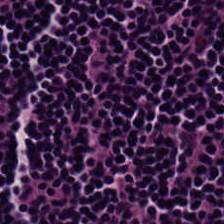The tissue here is lymphocyte aggregate.
